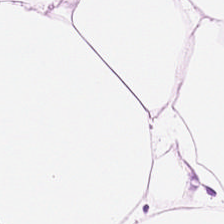H&E-stained tissue section. 0.5 µm/px. FFPE tissue section — Q: Identify the tissue.
A: The field shows fat tissue.
